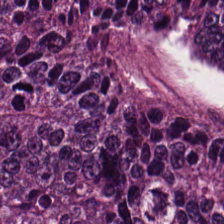Predominant tissue — colorectal adenocarcinoma.
